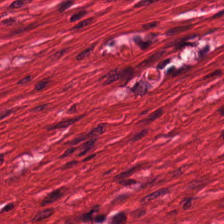Stain: H&E-stained tissue section.
Tissue type: smooth-muscle tissue.
